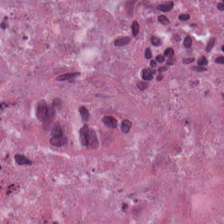Hematoxylin and eosin. Cellular debris.
